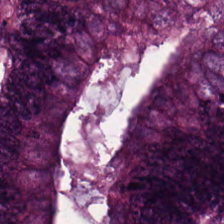Tissue class — malignant epithelium.
